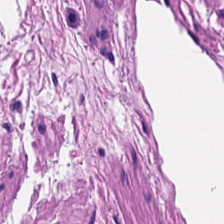H&E stain. The tissue type is smooth-muscle tissue.
